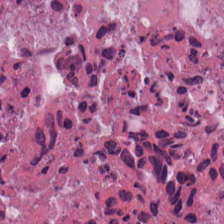Classification — necrotic debris.
